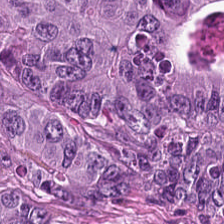Hematoxylin-and-eosin stained section — Q: What type of tissue is this?
A: Adenocarcinoma.
